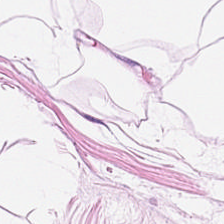Stain: hematoxylin-and-eosin stained section.
Predominant tissue: adipose.
